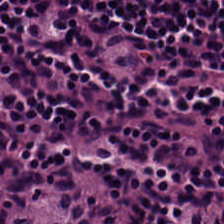Hematoxylin and eosin.
This patch shows lymphocyte aggregate.
